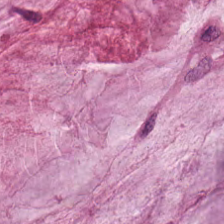Hematoxylin and eosin — This patch shows mucus.
